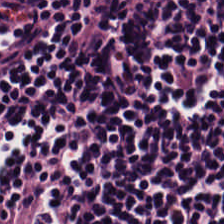Hematoxylin-and-eosin stained section — Q: What is the predominant tissue type?
A: The field shows lymphocytic infiltrate.
